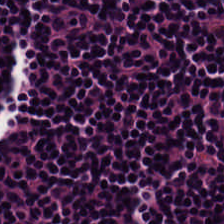0.5 µm per pixel. H&E stain — The classification is lymphocytic infiltrate.
